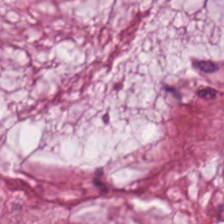Hematoxylin and eosin. The tissue here is mucin.
